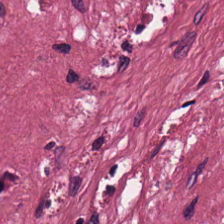H&E-stained tissue section.
Tissue type: tumor stroma.
